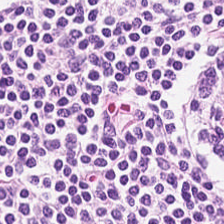H&E-stained tissue section; 224×224 px patch. This field is lymphoid infiltrate.
